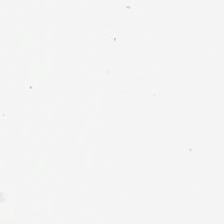224×224 px patch; H&E-stained tissue section. This field is background (no tissue).
